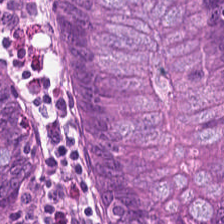Q: What tissue type is shown here?
A: This is normal colon mucosa.
